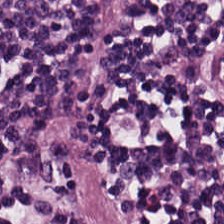224×224 px tile · H&E stain. Predominantly lymphocytic infiltrate.
